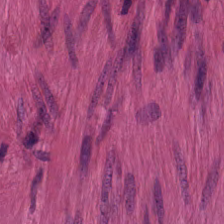Hematoxylin-and-eosin stained section. FFPE — Showing smooth-muscle tissue.
